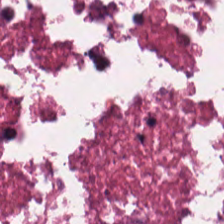Whole-slide-image patch; H&E — Q: What tissue is shown?
A: The field shows debris.
